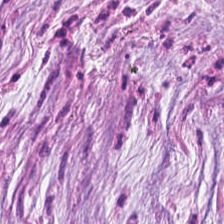H&E stain — This patch shows mucus.
